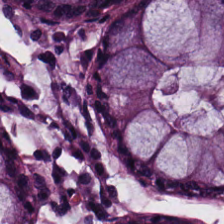FFPE; 20× equivalent magnification; hematoxylin-and-eosin stained section.
This field is normal colonic mucosa.
